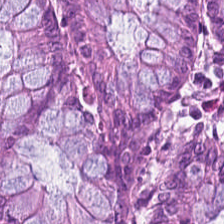H&E stain — Q: What tissue is shown?
A: This is non-neoplastic colon mucosa.
